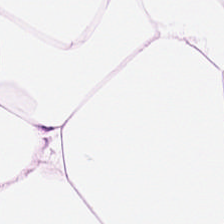H&E.
Q: Identify the tissue.
A: It is adipose tissue.
